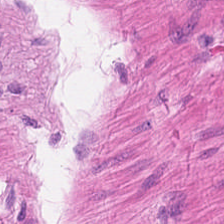Finding → smooth-muscle tissue.
